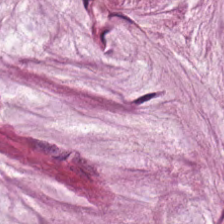This field is extracellular mucin.
